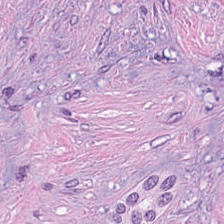H&E-stained tissue section.
The predominant tissue is necrotic debris.
